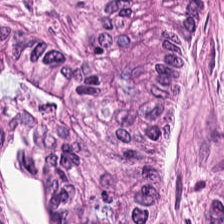Q: What does this patch show?
A: Colorectal adenocarcinoma epithelium.
